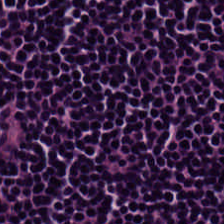The predominant tissue is lymphocyte aggregate.
